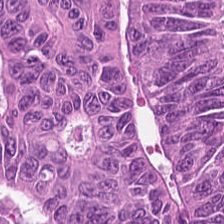Q: What is shown in this field?
A: This is tumor epithelium.
